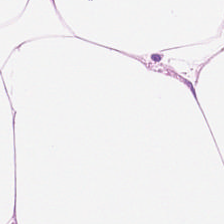FFPE. Hematoxylin-and-eosin stained section.
Q: Identify the tissue.
A: The field shows adipose.
